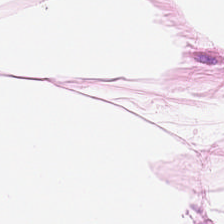Hematoxylin-and-eosin stained section; formalin-fixed paraffin-embedded section; 224×224 px patch — This field is fat tissue.
